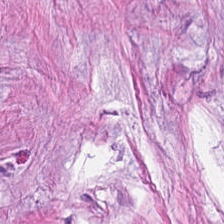Hematoxylin-and-eosin stained section; 224×224 px patch.
Predominantly tumor-associated stroma.
